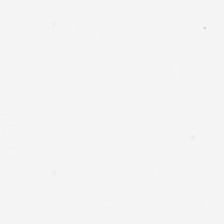Whole-slide-image patch · 224×224 pixel tile · hematoxylin and eosin.
Q: What does this patch show?
A: It is background (no tissue).
